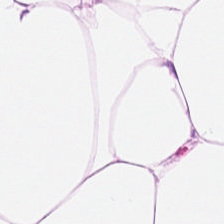224×224 px tile · 20× equivalent magnification · H&E stain.
This field is adipose.
